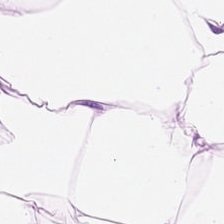Stain: hematoxylin-and-eosin stained section.
Predominant tissue: adipocytes.
